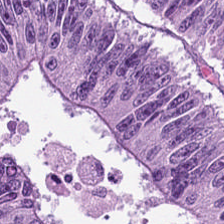Hematoxylin-and-eosin stained section — Q: Identify the tissue.
A: The field shows adenocarcinoma.
